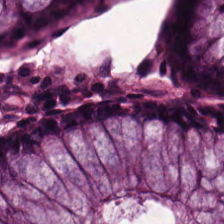Brightfield microscopy; hematoxylin and eosin; 20× equivalent magnification.
The predominant tissue is benign colonic mucosa.
